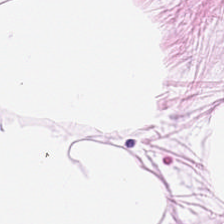Stain: hematoxylin and eosin.
Tissue type: adipocytes.
